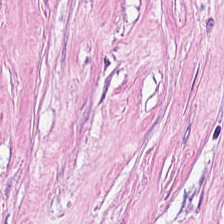H&E-stained tissue section. Predominant tissue = cancer-associated stroma.
